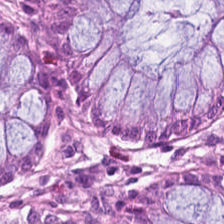H&E stain. FFPE. 0.5 microns per pixel.
Predominant tissue = normal colon mucosa.
